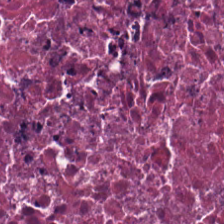The predominant tissue is necrotic debris.
